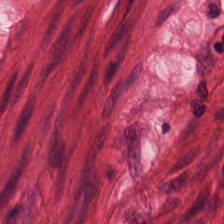H&E-stained tissue section.
Predominantly smooth-muscle tissue.
